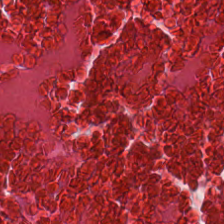H&E — {"tissue_type": "cellular debris"}
